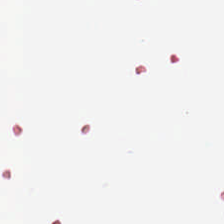Stain: H&E.
Classification: background.
